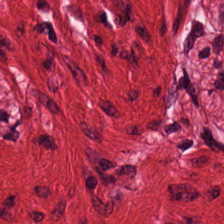H&E · whole-slide-image patch.
Muscularis.
